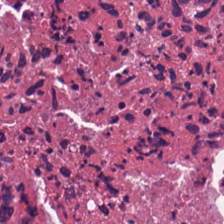H&E-stained tissue section · FFPE.
Showing cellular debris.
